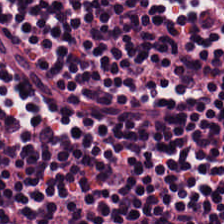Hematoxylin-and-eosin stained section — The tissue here is lymphocyte aggregate.
